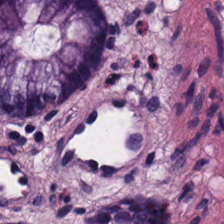224×224 px patch. H&E-stained tissue section.
Histology → normal colon mucosa.
